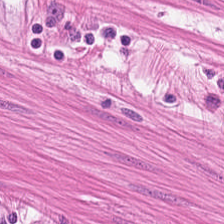H&E-stained tissue section — Tissue = smooth muscle.
